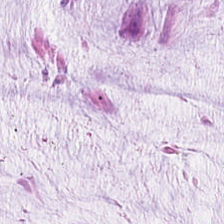H&E stain.
Q: What does this patch show?
A: The field shows extracellular mucin.
